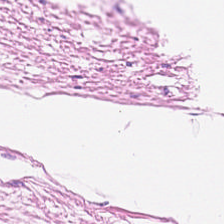Q: What tissue type is shown here?
A: The field shows smooth muscle.
